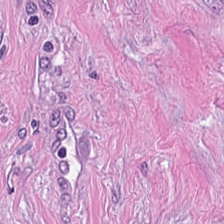Tissue type = tumor-associated stroma.
